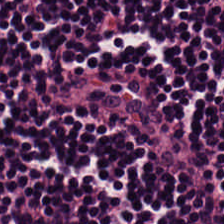H&E stain. Q: What tissue type is shown here?
A: It is lymphoid infiltrate.
